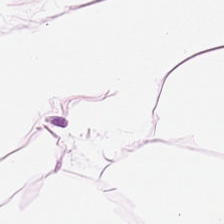Hematoxylin and eosin; 0.5 microns per pixel.
Fat tissue.
